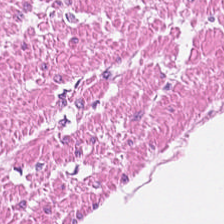Brightfield; H&E stain; 0.5 µm/px — Showing smooth-muscle tissue.
